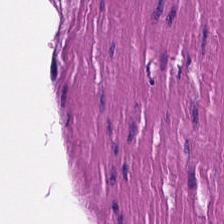WSI patch. H&E-stained tissue section. Impression — muscularis.
